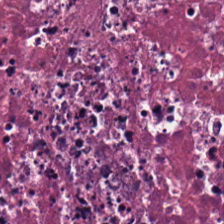H&E; FFPE.
Q: What tissue is shown?
A: This is debris.
